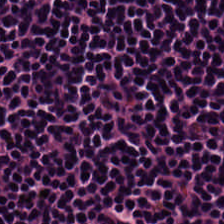Hematoxylin and eosin; brightfield microscopy; 20× equivalent magnification. Q: What is the predominant tissue type?
A: The field shows lymphocytic infiltrate.
